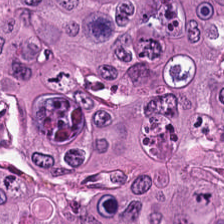Hematoxylin-and-eosin stained section — Predominantly colorectal adenocarcinoma.
